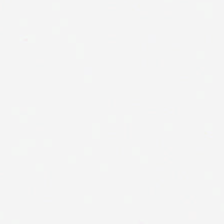H&E stain. This patch shows background.
